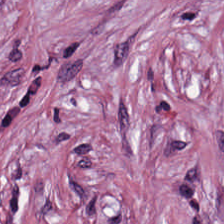FFPE; 224×224 pixel tile; H&E. Classification — tumor stroma.
